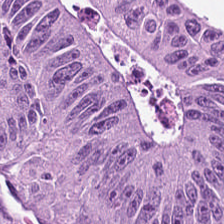H&E. 0.5 microns per pixel.
Q: What tissue is shown?
A: The field shows colorectal adenocarcinoma epithelium.
